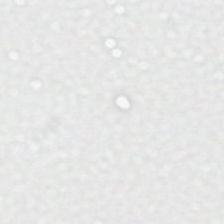H&E.
Classification: background.
